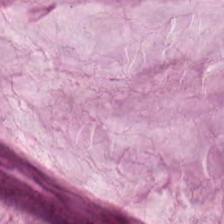Q: What is shown here?
A: Mucus.
